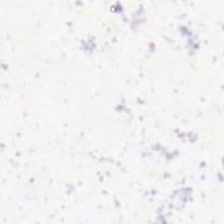Stain: H&E-stained tissue section.
Field content: no tissue.
